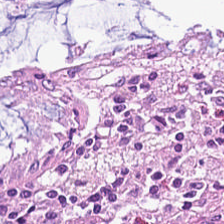WSI patch · H&E stain — The tissue here is normal colon mucosa.
